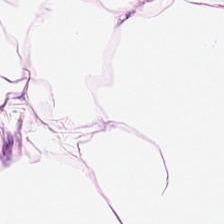H&E-stained tissue section. Adipose.
